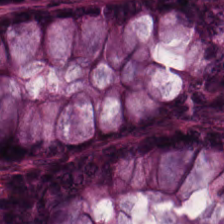H&E; 0.5 µm per pixel; 224×224 px patch.
Q: What does this patch show?
A: It is normal colon mucosa.
